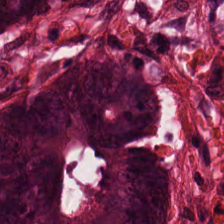224×224 px patch · H&E. {"tissue_type": "malignant epithelium"}
